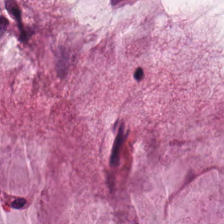Q: What does this patch show?
A: Mucus.
